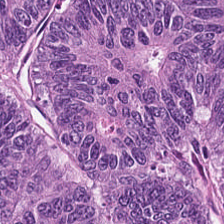H&E — colorectal adenocarcinoma.
